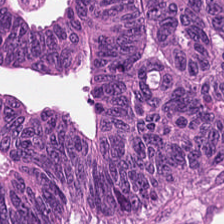The tissue here is malignant epithelium.
